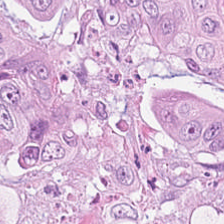Hematoxylin-and-eosin stained section. Tissue type — colorectal adenocarcinoma.
